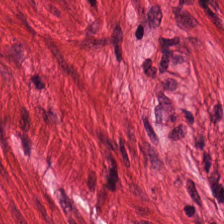Hematoxylin and eosin · FFPE · 224×224 px tile. Predominantly smooth-muscle tissue.
